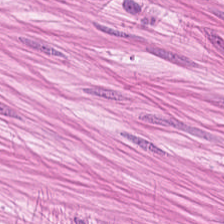Stain: H&E-stained tissue section.
Classification: muscularis.
